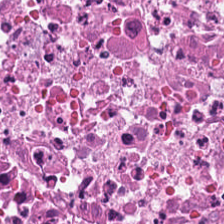Q: What does this patch show?
A: The field shows necrotic debris.
